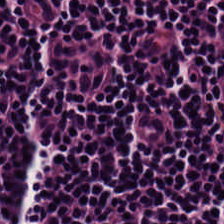Stain: hematoxylin and eosin.
Acquisition: WSI patch.
Resolution: 0.5 µm/px.
Tissue class: lymphocytes.
